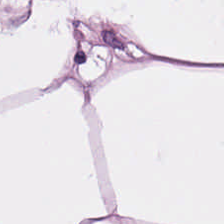Predominant tissue — adipose.
